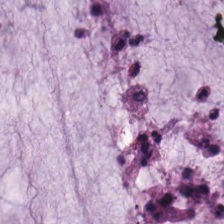Stain: hematoxylin and eosin.
Resolution: 0.5 µm/px.
Predominant tissue: mucus.
